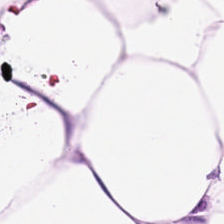Hematoxylin and eosin; 0.5 microns per pixel; brightfield microscopy — Q: What does this patch show?
A: This is adipose tissue.
